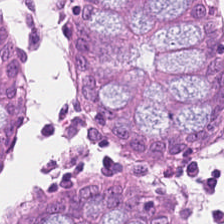Finding → benign colonic mucosa.
